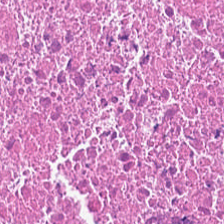Formalin-fixed paraffin-embedded section. 20× equivalent magnification. H&E stain. This field is necrotic debris.
